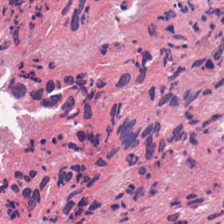Hematoxylin and eosin — {"tissue_type": "necrotic debris"}
